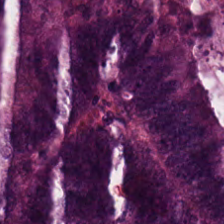H&E stain.
Q: What is the predominant tissue type?
A: This is colorectal adenocarcinoma epithelium.
